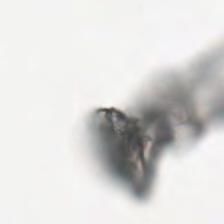224×224 pixel tile; hematoxylin-and-eosin stained section; brightfield microscopy. Classification: empty background.
